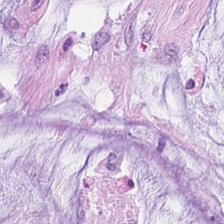0.5 µm/px · hematoxylin-and-eosin stained section · FFPE — This field is extracellular mucin.
